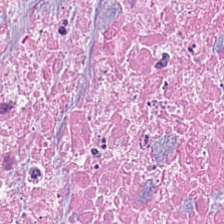Formalin-fixed paraffin-embedded section. Hematoxylin-and-eosin stained section — Showing necrotic debris.
